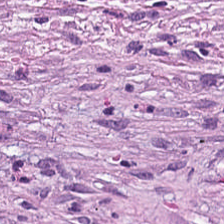Brightfield · hematoxylin and eosin — Tumor-associated stroma.
